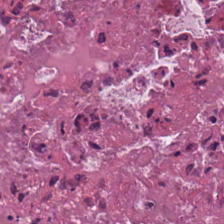Q: What is shown in this field?
A: This is debris.
